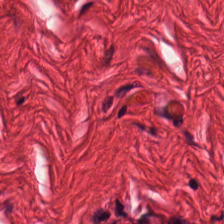H&E stain — The tissue type is smooth muscle.
